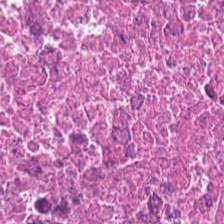Finding → debris.
